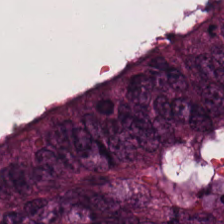H&E stain.
Histology → colorectal adenocarcinoma epithelium.
